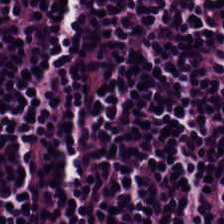H&E — Predominant tissue — lymphoid infiltrate.
